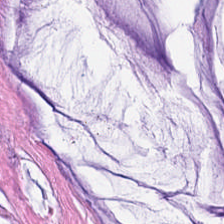Stain: hematoxylin-and-eosin stained section.
Tissue class: extracellular mucin.
